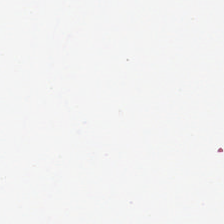H&E-stained tissue section — No tissue present; background only.
